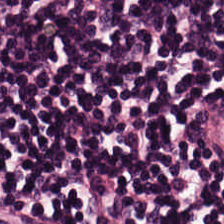Stain: H&E stain.
Predominant tissue: lymphocytes.
